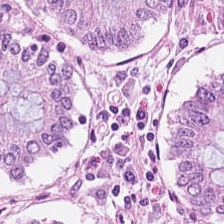Hematoxylin and eosin.
Q: What type of tissue is this?
A: This is normal colon mucosa.
